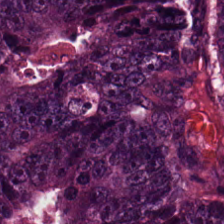Hematoxylin-and-eosin stained section · 0.5 µm/px. The tissue here is malignant epithelium.
